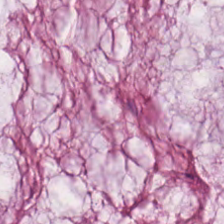Q: What does this patch show?
A: Mucus.
